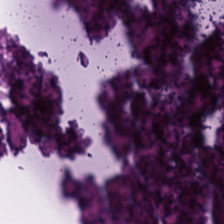Hematoxylin-and-eosin stained section. The tissue here is necrotic debris.
